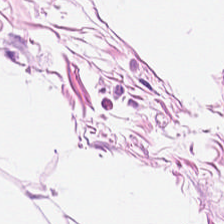H&E. Predominantly adipose tissue.
